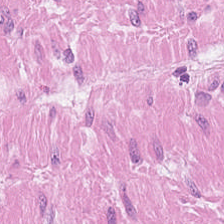H&E stain.
Smooth muscle.
